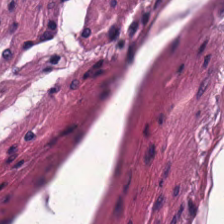FFPE. Hematoxylin and eosin. This field is smooth muscle.
